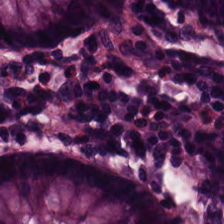Hematoxylin-and-eosin stained section. Formalin-fixed paraffin-embedded section — This field is benign colonic mucosa.
